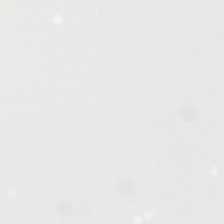Hematoxylin and eosin — This field is background (no tissue).
